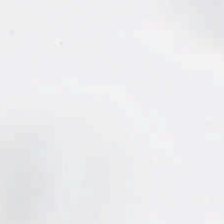Stain: H&E-stained tissue section.
Field content: background.
